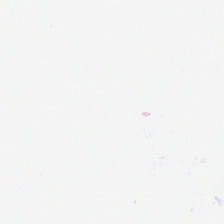H&E-stained tissue section · brightfield microscopy — Field content — background.
